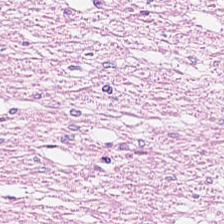Stain: hematoxylin and eosin.
Classification: smooth muscle.
